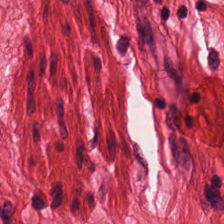Stain: H&E stain.
Tile size: 224×224 pixel tile.
Classification: muscularis.
